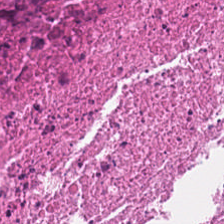Hematoxylin-and-eosin stained section — The predominant tissue is debris.
